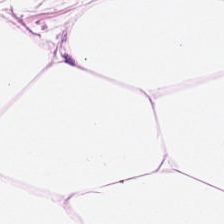Stain: H&E stain.
Tissue type: adipose.
